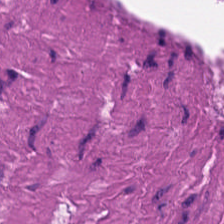H&E.
Predominantly muscularis.
